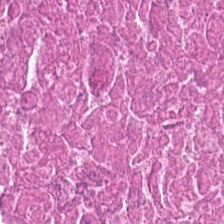H&E-stained tissue section. Classification — cellular debris.
